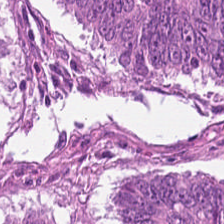H&E-stained tissue section. Brightfield microscopy. Predominantly colorectal adenocarcinoma.
